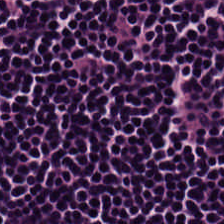The predominant tissue is lymphocytic infiltrate.
